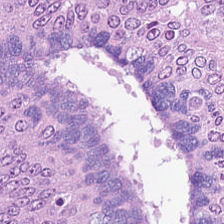Q: What type of tissue is this?
A: Tumor epithelium.
